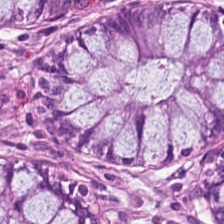Hematoxylin-and-eosin stained section. Histology — non-neoplastic colon mucosa.
